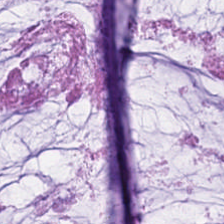H&E-stained tissue section · FFPE tissue section.
Impression — extracellular mucin.
